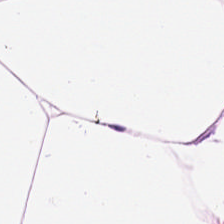H&E.
This field is adipose.
